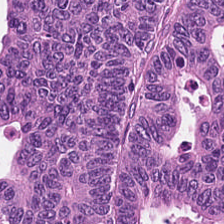Tissue = colorectal adenocarcinoma.
